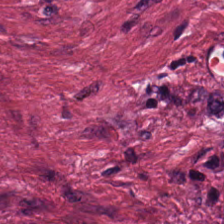Stain: H&E stain.
Classification: tumor-associated stroma.
